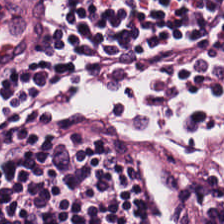H&E stain. 224×224 px patch — This patch shows lymphoid infiltrate.
